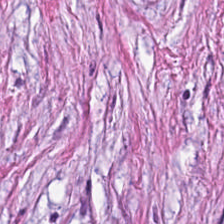H&E.
Impression → tumor-associated stroma.
